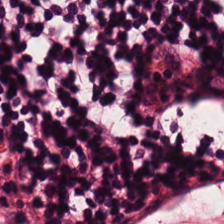Hematoxylin and eosin. Brightfield microscopy. Tissue = lymphocytic infiltrate.
